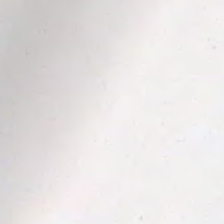0.5 µm per pixel · hematoxylin-and-eosin stained section.
This patch shows background.
